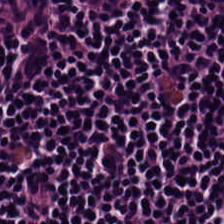H&E · brightfield — This patch shows lymphocytic infiltrate.
